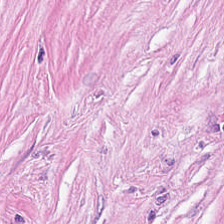Tumor stroma.
